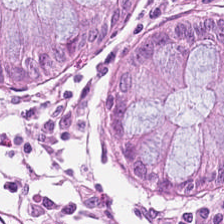0.5 µm/px · H&E-stained tissue section. This field is benign colonic mucosa.
